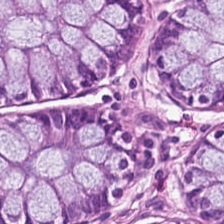H&E-stained tissue section — This field is normal colonic mucosa.
